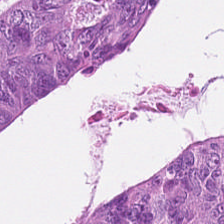H&E stain.
The predominant tissue is colorectal adenocarcinoma.
